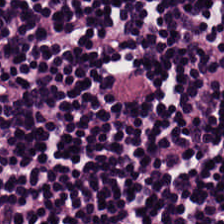H&E-stained section; the field shows lymphoid infiltrate.
